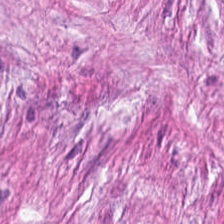H&E.
Tissue type — tumor-associated stroma.
